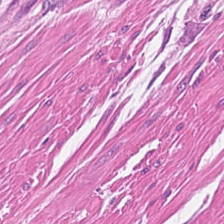H&E-stained tissue section · FFPE.
Impression → muscularis.
